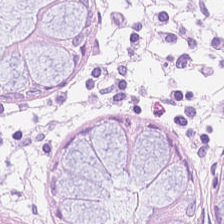Normal colonic mucosa.
